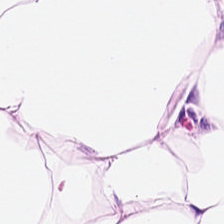H&E stain — This patch shows adipose.
